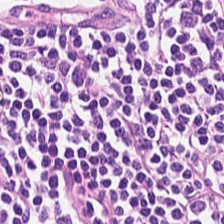H&E stain.
Q: Identify the tissue.
A: Lymphocytic infiltrate.
